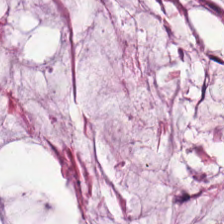H&E. 224×224 px tile — Predominant tissue = mucin.
